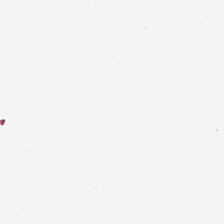Field content = no tissue.
